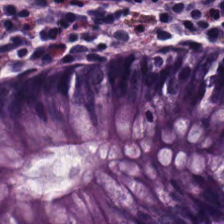224×224 px patch; H&E. The predominant tissue is benign colonic mucosa.
